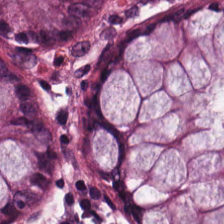Formalin-fixed paraffin-embedded section · hematoxylin-and-eosin stained section.
Predominantly normal colonic mucosa.
